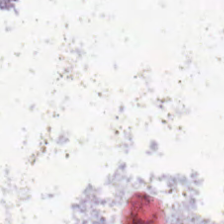Stain: hematoxylin and eosin.
Content: empty background.
